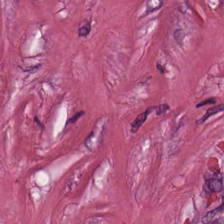Hematoxylin and eosin; WSI patch; FFPE — The predominant tissue is desmoplastic stroma.
